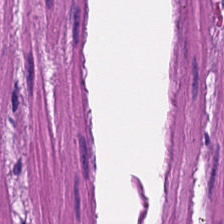224×224 pixel tile · hematoxylin-and-eosin stained section.
Tissue type: smooth muscle.
